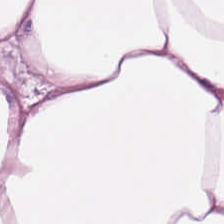H&E patch showing adipose tissue.
